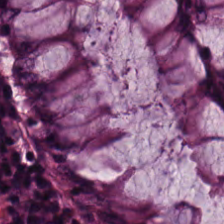H&E.
Classification — normal colonic mucosa.
